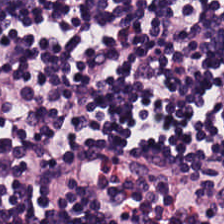H&E — Classification — lymphoid infiltrate.
